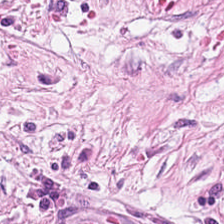H&E. 0.5 µm/px. {"tissue_type": "tumor stroma"}
